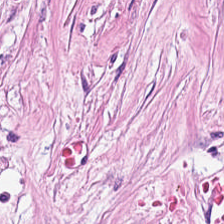H&E-stained tissue section. The predominant tissue is tumor stroma.
